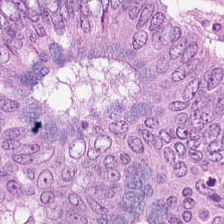H&E stain.
Q: What tissue type is shown here?
A: The field shows colorectal adenocarcinoma.
